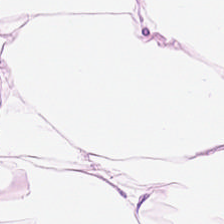H&E-stained tissue section. Histology — adipose.
